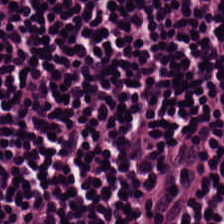Stain: H&E stain.
Classification: lymphocytes.
